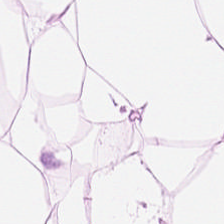FFPE tissue section · H&E · 224×224 px patch.
Histology — adipose.
